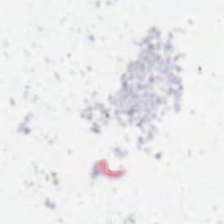224×224 px patch · hematoxylin and eosin.
Finding — no tissue.
